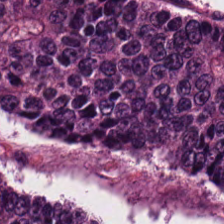FFPE tissue section. H&E stain.
Showing colorectal adenocarcinoma epithelium.
